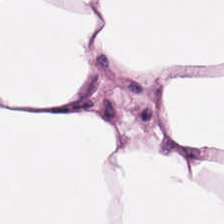H&E; whole-slide-image patch.
Q: What tissue is shown?
A: It is adipose tissue.
